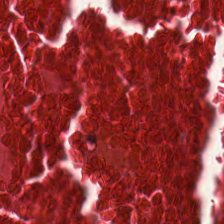FFPE. H&E. 224×224 px tile.
Q: What is shown in this field?
A: This is debris.
